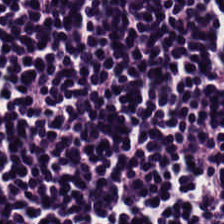Hematoxylin and eosin — Predominantly lymphocytes.
